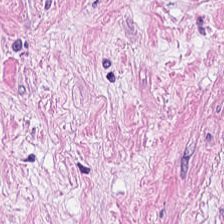H&E stain. The tissue class is desmoplastic stroma.
